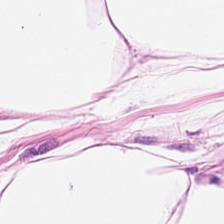H&E; 0.5 µm per pixel — Impression → adipose.
